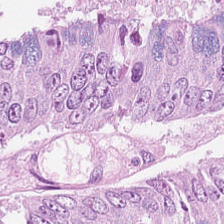0.5 µm/px; brightfield; H&E stain.
Predominant tissue — colorectal adenocarcinoma.
